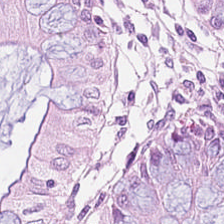Brightfield microscopy; H&E stain.
Impression → normal colon mucosa.
